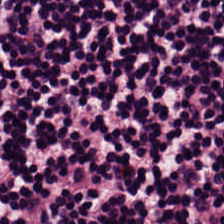H&E-stained tissue section · whole-slide-image patch · 224×224 px tile. Classification: lymphoid infiltrate.
